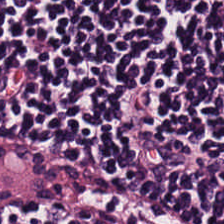H&E-stained tissue section; 224×224 pixel tile; 0.5 µm/px. Impression → lymphocyte aggregate.
